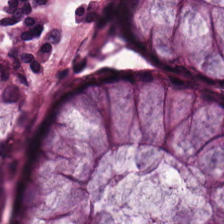Stain: H&E.
Acquisition: WSI patch.
Classification: benign colonic mucosa.
